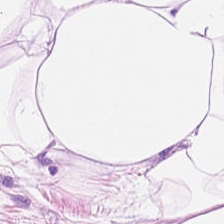H&E-stained tissue section; 20× equivalent magnification. This patch shows adipocytes.
